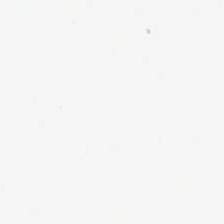No tissue present; background only.
